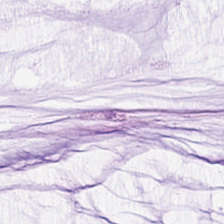Impression → extracellular mucin.
